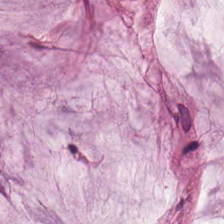H&E.
Mucin.
